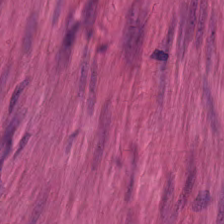Hematoxylin-and-eosin stained section. Brightfield. Smooth muscle.
